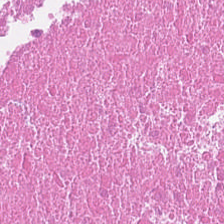0.5 µm/px; 224×224 px tile; H&E stain — Showing necrotic debris.
